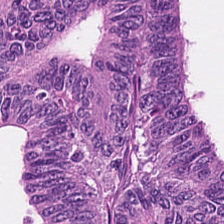Tissue: colorectal adenocarcinoma.
